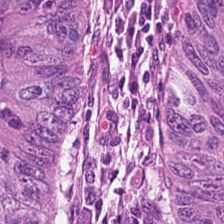H&E · FFPE · 224×224 px patch.
Classification — malignant epithelium.
